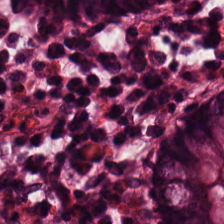H&E-stained tissue section.
The tissue here is benign colonic mucosa.
